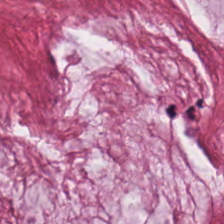Hematoxylin and eosin; brightfield — The classification is extracellular mucin.
